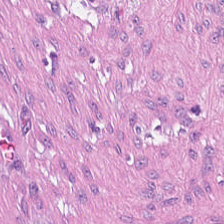H&E. FFPE tissue section — Histology — tumor-associated stroma.
